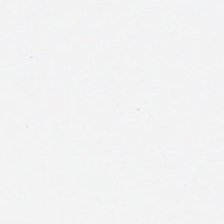H&E-stained tissue section. No tissue present; background only.
